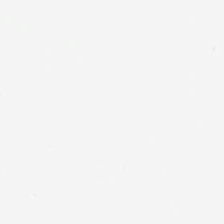Brightfield. FFPE tissue section. H&E-stained tissue section — Q: What is shown in this field?
A: No tissue.
